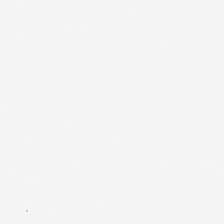H&E — Empty field — background (no tissue).
